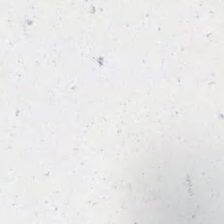H&E-stained tissue section. Brightfield microscopy. Empty field — empty background.
